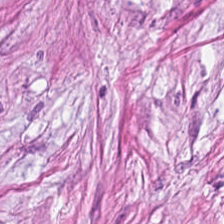Hematoxylin-and-eosin stained section.
Impression → tumor stroma.
